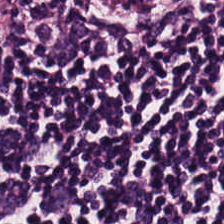Tissue type — lymphocyte aggregate.
